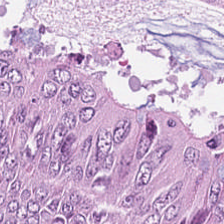224×224 pixel tile · H&E-stained tissue section. Tissue — colorectal adenocarcinoma epithelium.
